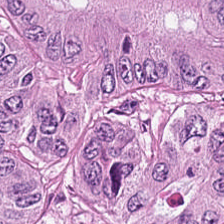The tissue type is adenocarcinoma.
